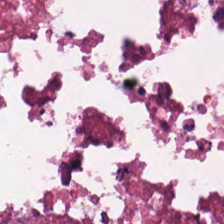H&E stain. Impression → debris.
